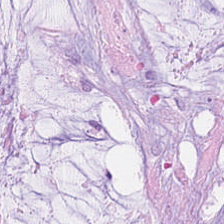FFPE tissue section. 20× equivalent magnification. H&E-stained tissue section.
Predominant tissue: extracellular mucin.
